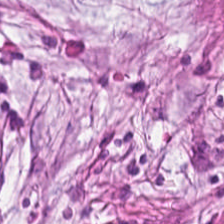20× equivalent magnification; hematoxylin-and-eosin stained section.
Q: What tissue is shown?
A: It is tumor stroma.
